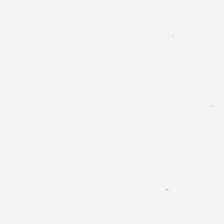Q: What does this patch show?
A: It is no tissue.
